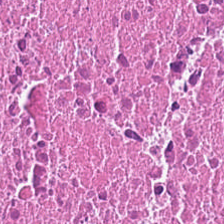H&E stain. The predominant tissue is necrotic debris.
